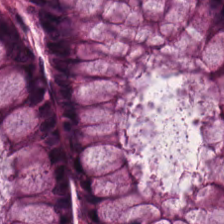224×224 pixel tile. H&E — Tissue class = normal colonic mucosa.
